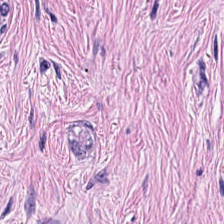H&E. The tissue here is cancer-associated stroma.
